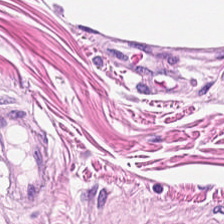{"tissue_type": "smooth-muscle tissue"}
